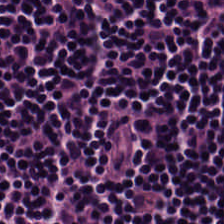Hematoxylin and eosin. This field is lymphocyte aggregate.
